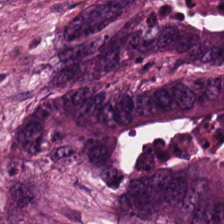Hematoxylin and eosin — Q: What is shown here?
A: Tumor epithelium.
